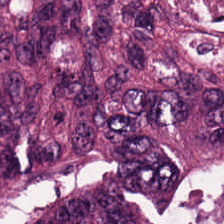Tumor epithelium.
